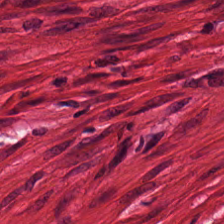Hematoxylin and eosin.
Q: What tissue is shown?
A: It is muscularis.
